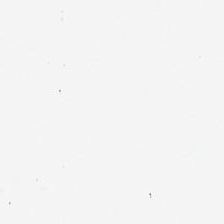Hematoxylin and eosin — {"content": "background (no tissue)"}
